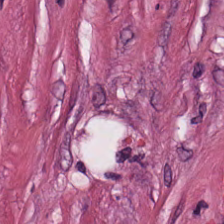20× equivalent magnification. Hematoxylin and eosin. FFPE.
Impression → cancer-associated stroma.
